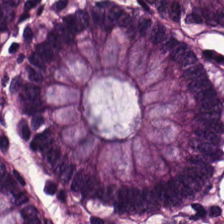Stain: H&E stain.
Classification: non-neoplastic colon mucosa.
